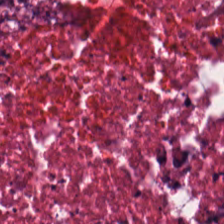0.5 microns per pixel · H&E — Showing necrotic debris.
